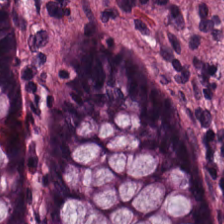H&E. Brightfield microscopy.
The predominant tissue is normal colon mucosa.
